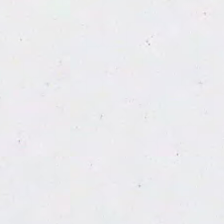Hematoxylin and eosin.
Q: What does this patch show?
A: It is background.
